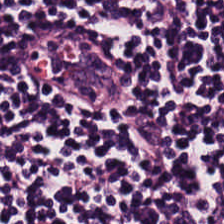Hematoxylin-and-eosin stained section.
Impression → lymphocytes.
